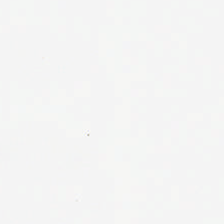H&E stain · brightfield · 0.5 µm per pixel.
Content = no tissue.
